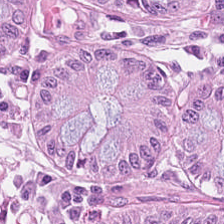0.5 µm/px · H&E · 224×224 px tile — The tissue is benign colonic mucosa.
